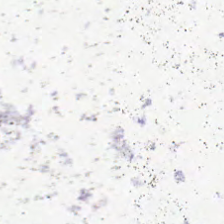Hematoxylin and eosin — Finding — empty background.
